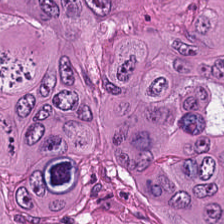Stain: hematoxylin and eosin.
Tissue type: tumor epithelium.
